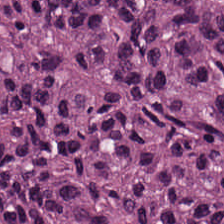Hematoxylin and eosin. Histology — colorectal adenocarcinoma epithelium.
